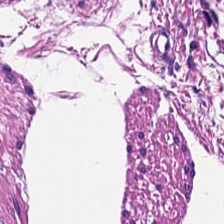Hematoxylin-and-eosin stained section. Finding — smooth muscle.
